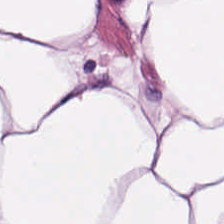H&E stain. Q: What tissue type is shown here?
A: This is adipose tissue.
